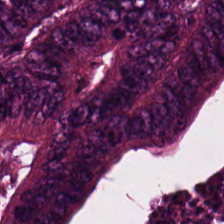{"tissue_type": "colorectal adenocarcinoma epithelium"}
